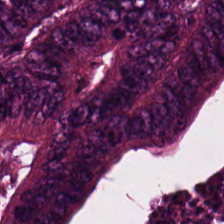{"tissue_type": "colorectal adenocarcinoma epithelium"}
